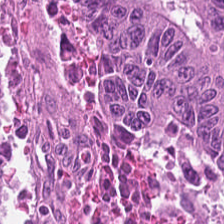H&E — This patch shows colorectal adenocarcinoma.
